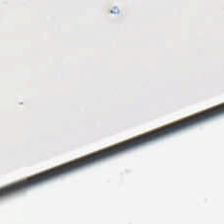Finding — no tissue.
